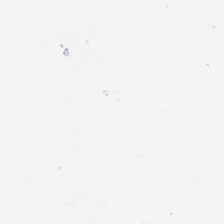H&E — {"content": "empty background"}
